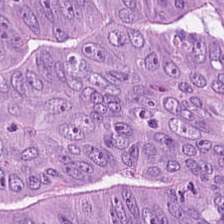Hematoxylin and eosin. 224×224 pixel tile — Q: What type of tissue is this?
A: The field shows adenocarcinoma.
